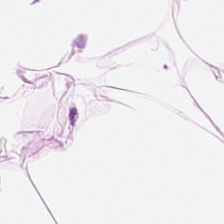Whole-slide-image patch · H&E-stained tissue section.
Histology — adipose.
